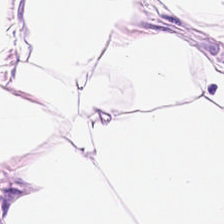This field is adipose tissue.
